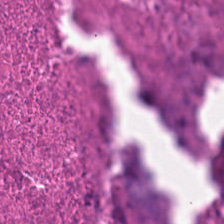H&E-stained tissue section.
Finding — necrotic debris.
